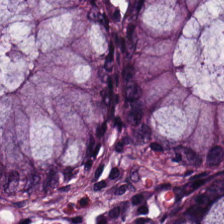Hematoxylin-and-eosin stained section; brightfield.
Q: Identify the tissue.
A: It is benign colonic mucosa.
